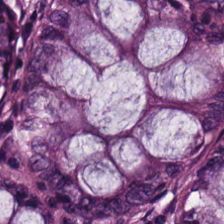H&E stain; 20× equivalent magnification. Histology — non-neoplastic colon mucosa.
